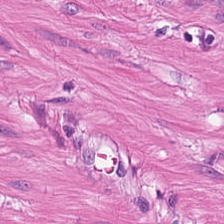Tissue type: smooth muscle.
